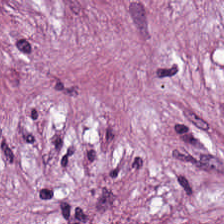224×224 px tile · H&E · FFPE tissue section — The tissue here is cancer-associated stroma.
